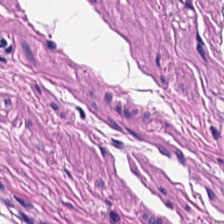H&E-stained tissue section · WSI patch.
Q: What type of tissue is this?
A: The field shows smooth muscle.
